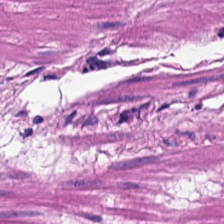H&E stain. Whole-slide-image patch.
Q: What is shown in this field?
A: It is muscularis.
